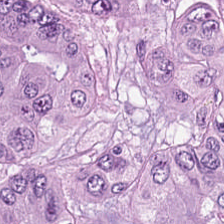H&E.
Predominantly adenocarcinoma.
